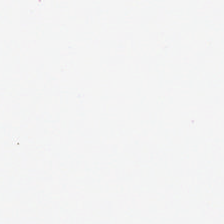Hematoxylin-and-eosin stained section. This field is background (no tissue).
